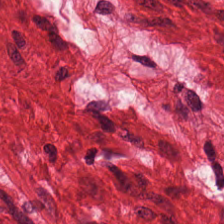Stain: hematoxylin and eosin.
Resolution: 0.5 microns per pixel.
Tile size: 224×224 px tile.
Tissue type: muscularis.
